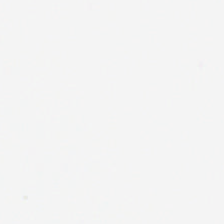FFPE tissue section; H&E-stained tissue section; 20× equivalent magnification — Empty background.
